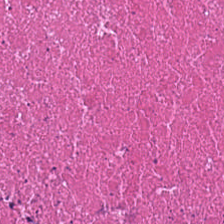The tissue is necrotic debris.
